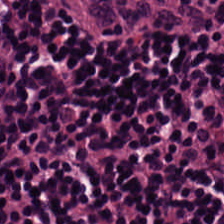Hematoxylin and eosin · 0.5 microns per pixel · brightfield microscopy — This patch shows lymphoid infiltrate.
